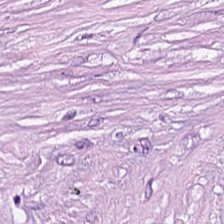Hematoxylin and eosin · FFPE. Histology → tumor-associated stroma.
